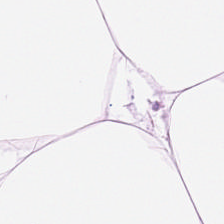Stain: hematoxylin and eosin.
Tissue class: adipocytes.
